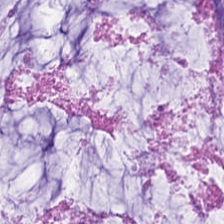The tissue class is mucin.
